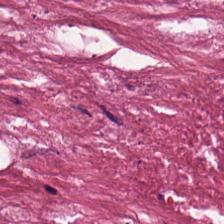Brightfield · H&E stain.
Q: Identify the tissue.
A: The field shows cellular debris.
